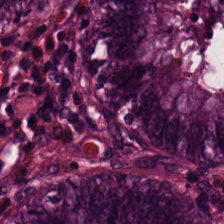H&E-stained tissue section. This patch shows normal colon mucosa.
